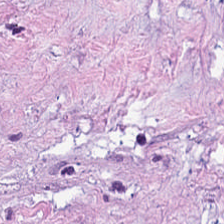Hematoxylin and eosin. Formalin-fixed paraffin-embedded section. 0.5 microns per pixel. Classification: tumor stroma.
